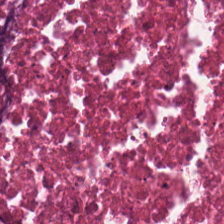H&E-stained tissue section.
{"tissue_type": "debris"}
